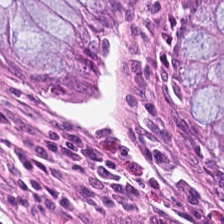H&E — normal colonic mucosa.
